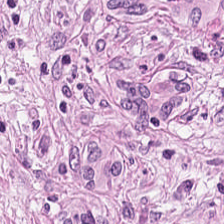224×224 px tile; H&E-stained tissue section — Finding → tumor-associated stroma.
